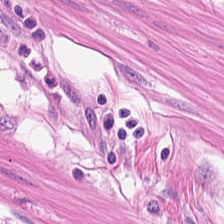Impression → muscularis.
